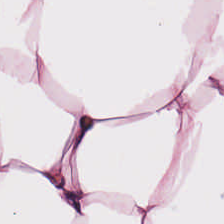224×224 pixel tile; H&E stain — Impression → adipocytes.
